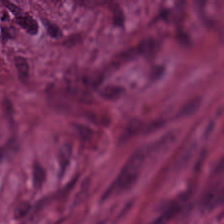H&E. Finding — tumor-associated stroma.
